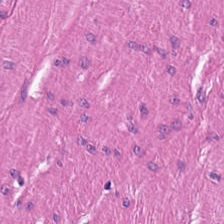FFPE. H&E stain.
Smooth-muscle tissue.
